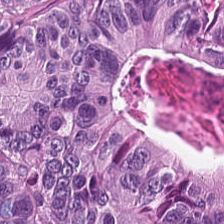Hematoxylin-and-eosin stained section. Predominantly tumor epithelium.
